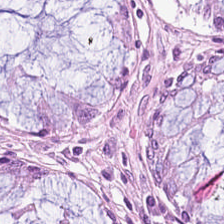H&E stain — Showing benign colonic mucosa.
